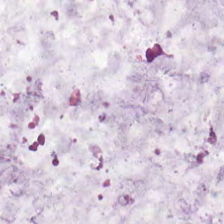Hematoxylin and eosin.
Predominant tissue = extracellular mucin.
